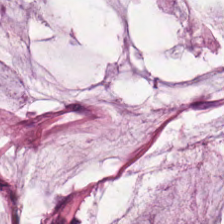H&E-stained tissue section · WSI patch — The predominant tissue is mucus.
